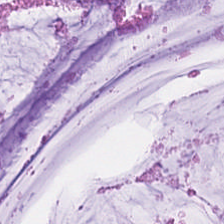Hematoxylin-and-eosin section: extracellular mucin.
